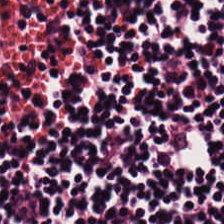Brightfield microscopy · hematoxylin-and-eosin stained section · 224×224 pixel tile — Tissue class — lymphocyte aggregate.
